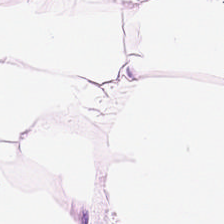0.5 µm/px; hematoxylin-and-eosin stained section — Q: What tissue is shown?
A: The field shows adipose tissue.
